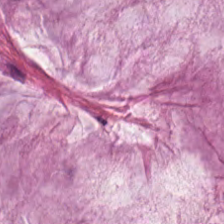H&E.
Q: What tissue type is shown here?
A: This is mucin.
